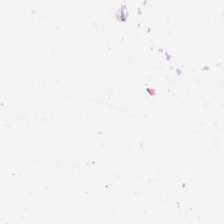Q: Classify this patch.
A: It is empty background.
